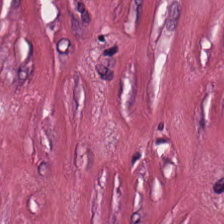FFPE. 0.5 microns per pixel. H&E stain.
Q: What does this patch show?
A: This is tumor stroma.
